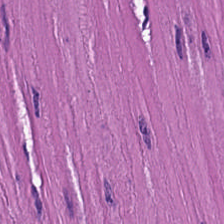Hematoxylin and eosin.
The predominant tissue is muscularis.
